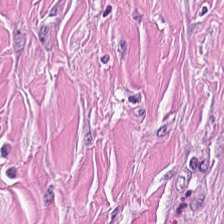H&E-stained tissue section. Q: Identify the tissue.
A: It is cancer-associated stroma.
